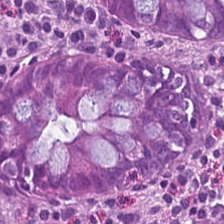Tissue type = normal colon mucosa.
